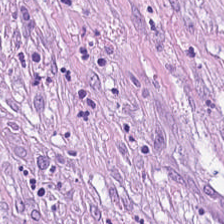WSI patch; H&E stain — Impression — tumor-associated stroma.
